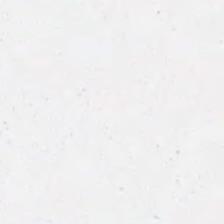224×224 px tile · H&E stain.
Q: What does this patch show?
A: No tissue.
